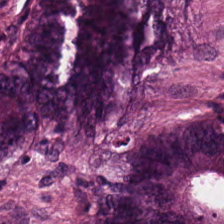Brightfield microscopy. 224×224 pixel tile. Hematoxylin-and-eosin stained section.
Tissue class — malignant epithelium.
